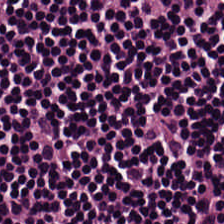Hematoxylin-and-eosin stained section.
Q: What is the predominant tissue type?
A: This is lymphoid infiltrate.
